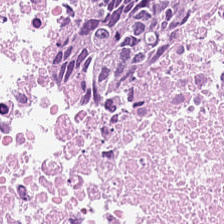H&E-stained tissue section; formalin-fixed paraffin-embedded section; 0.5 µm per pixel. Classification = necrotic debris.
